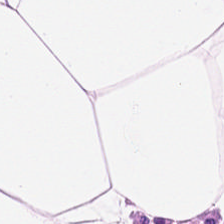H&E; 224×224 pixel tile.
Predominantly fat tissue.
